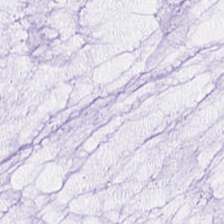H&E · FFPE tissue section · 224×224 px tile — {"tissue_type": "extracellular mucin"}
